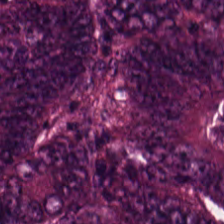Stain: hematoxylin-and-eosin stained section.
Acquisition: brightfield microscopy.
Preparation: FFPE.
Classification: colorectal adenocarcinoma.
